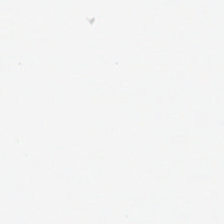FFPE tissue section · whole-slide-image patch · H&E.
Q: Classify this patch.
A: This is background.
